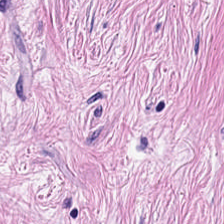Hematoxylin-and-eosin stained section.
Q: What tissue is shown?
A: Tumor stroma.
